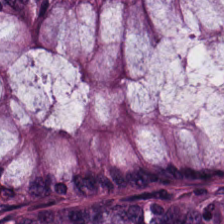H&E; brightfield; formalin-fixed paraffin-embedded section. Q: What is shown in this field?
A: Non-neoplastic colon mucosa.
